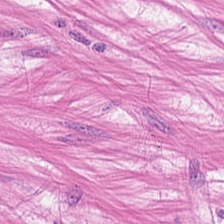H&E-stained tissue section; FFPE.
The predominant tissue is smooth muscle.
